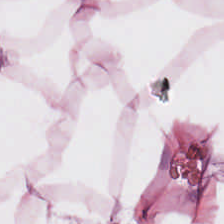20× equivalent magnification; hematoxylin and eosin — Q: Identify the tissue.
A: This is adipocytes.
